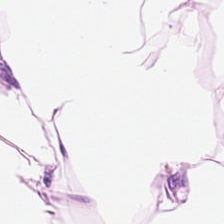This field is fat tissue.
